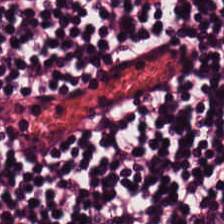H&E-stained tissue section. The predominant tissue is lymphocytic infiltrate.
